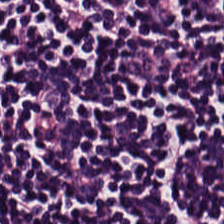Hematoxylin and eosin; formalin-fixed paraffin-embedded section; 224×224 px tile. Histology → lymphocyte aggregate.
